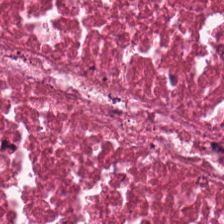H&E stain. Brightfield. 0.5 µm/px. The classification is cellular debris.
